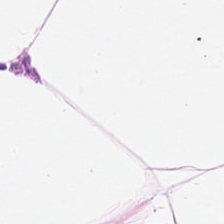Stain: H&E-stained tissue section.
Tissue class: adipose tissue.
